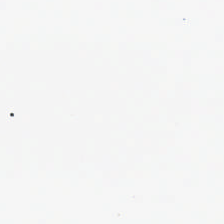Stain: hematoxylin and eosin.
Acquisition: brightfield.
Classification: no tissue.
